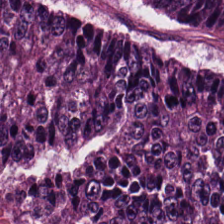H&E — Predominant tissue: malignant epithelium.
